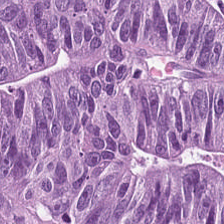H&E-stained tissue section — The tissue here is adenocarcinoma.
